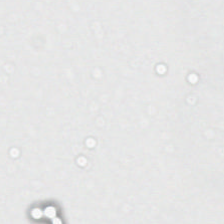Stain: H&E.
Acquisition: WSI patch.
Field content: background (no tissue).
